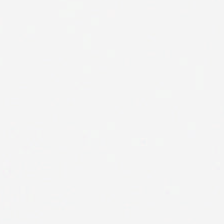Hematoxylin and eosin · 224×224 px patch · 0.5 µm/px — No tissue present; background only.
